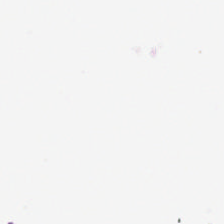Hematoxylin-and-eosin stained section.
This patch shows background.
